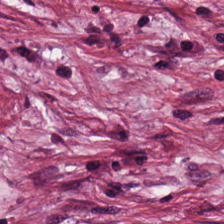WSI patch; formalin-fixed paraffin-embedded section; H&E-stained tissue section. This field is tumor-associated stroma.
